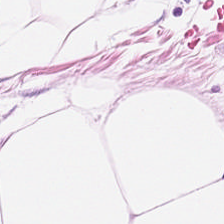Hematoxylin-and-eosin stained section; 224×224 pixel tile.
The classification is fat tissue.
